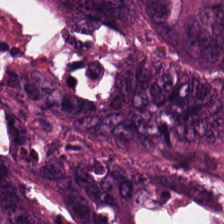0.5 microns per pixel; hematoxylin-and-eosin stained section — Q: Classify this patch.
A: This is colorectal adenocarcinoma epithelium.
